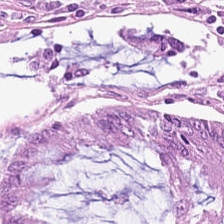H&E-stained tissue section · FFPE.
{"tissue_type": "normal colonic mucosa"}
